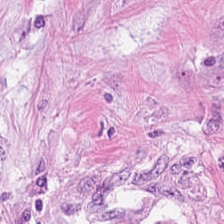H&E.
Predominant tissue = tumor-associated stroma.
